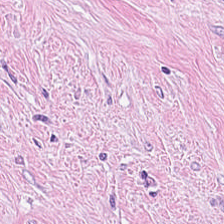WSI patch · H&E-stained tissue section · 224×224 px patch. This patch shows cancer-associated stroma.
